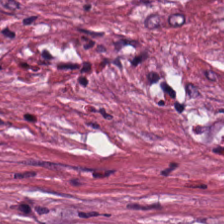H&E-stained tissue section showing tumor-associated stroma.
